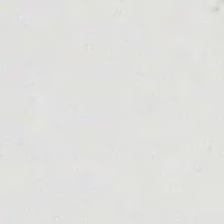Hematoxylin and eosin · FFPE tissue section. Histology — no tissue.
